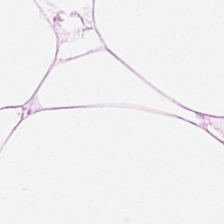Stain: H&E.
Tissue type: adipose.
